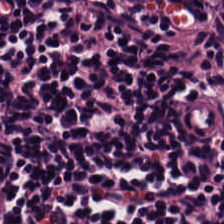H&E stain · WSI patch.
Tissue class — lymphocytes.
